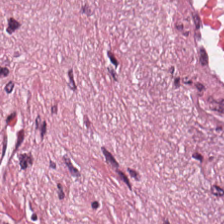The predominant tissue is tumor-associated stroma.
